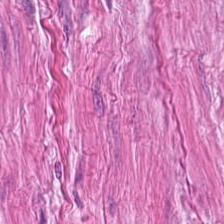Stain: hematoxylin-and-eosin stained section.
Tissue: muscularis.
